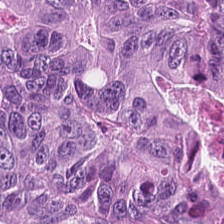H&E.
Tissue class — tumor epithelium.
